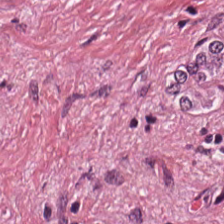Stain: hematoxylin and eosin.
Tissue: desmoplastic stroma.
